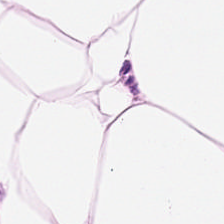Hematoxylin-and-eosin stained section.
Predominant tissue: adipocytes.
